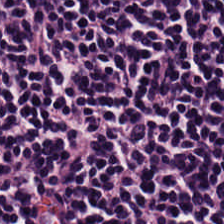{"tissue_type": "lymphocytic infiltrate"}
